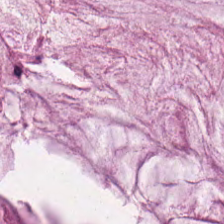Hematoxylin and eosin; 224×224 px tile; formalin-fixed paraffin-embedded section.
Tissue: mucus.
